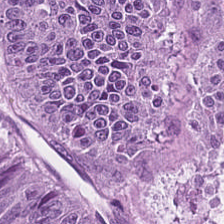Histology → tumor epithelium.
